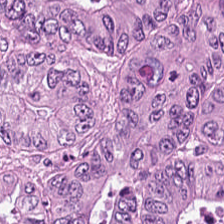H&E stain; WSI patch.
Q: What is shown here?
A: Adenocarcinoma.
